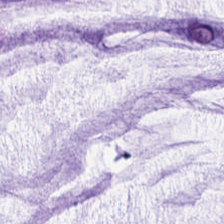The tissue here is extracellular mucin.
